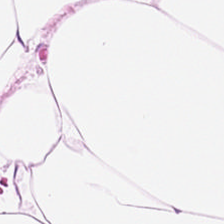Hematoxylin and eosin.
Histology — adipose.
